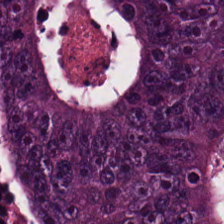Impression — colorectal adenocarcinoma epithelium.
